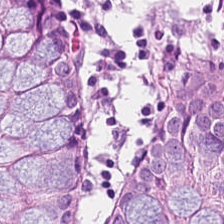Hematoxylin and eosin. Predominant tissue = benign colonic mucosa.
